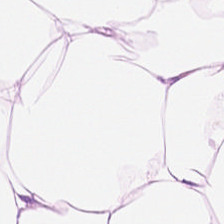H&E-stained tissue section.
Predominant tissue: adipose tissue.
